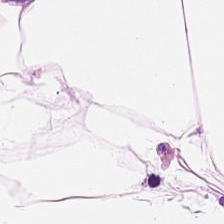Finding — adipocytes.
